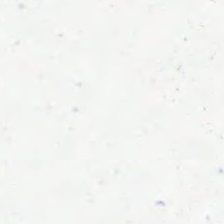No tissue present; background only.
